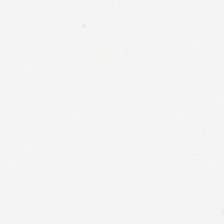Stain: hematoxylin-and-eosin stained section.
Field content: background (no tissue).
